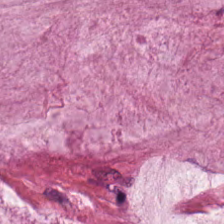20× equivalent magnification. FFPE tissue section. Hematoxylin-and-eosin stained section — Tissue type: mucus.
